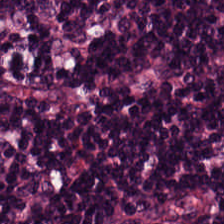The predominant tissue is lymphocytic infiltrate.
